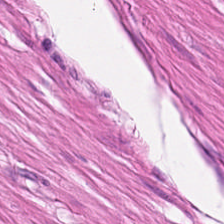Histology → muscularis.
